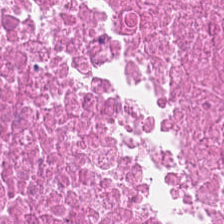Tissue type = debris.
